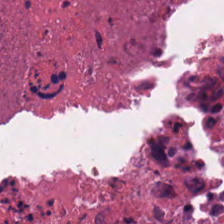Tissue type: cellular debris.
